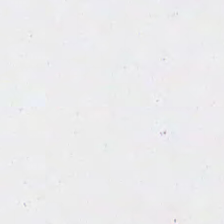Hematoxylin and eosin. Q: What is shown in this field?
A: The field shows background.
